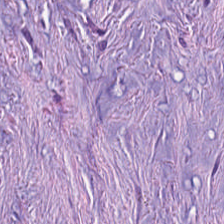Stain: H&E.
Tile size: 224×224 pixel tile.
Resolution: 0.5 µm per pixel.
Tissue class: cancer-associated stroma.
